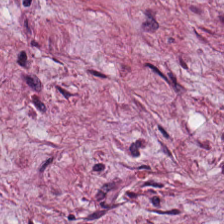Hematoxylin and eosin; brightfield microscopy — Tissue class — tumor-associated stroma.
